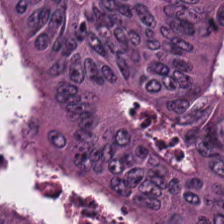H&E patch showing adenocarcinoma.
